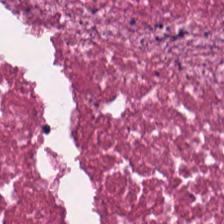H&E stain; formalin-fixed paraffin-embedded section; 0.5 microns per pixel.
Finding → debris.
